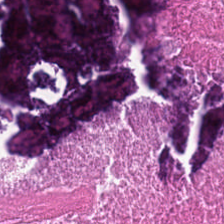H&E — cellular debris.
